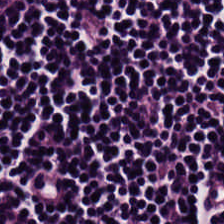Stain: hematoxylin and eosin.
Predominant tissue: lymphocytic infiltrate.
